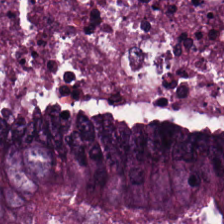Brightfield microscopy · H&E. Malignant epithelium.
